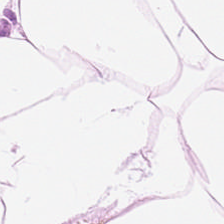H&E — Tissue type: fat tissue.
